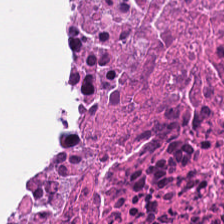Q: What is shown here?
A: It is debris.
